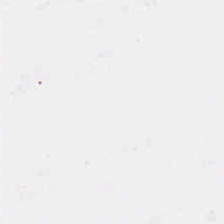H&E stain. 224×224 px tile.
Background — no tissue in this field.
